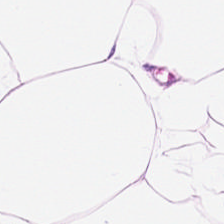H&E.
Predominantly fat tissue.
